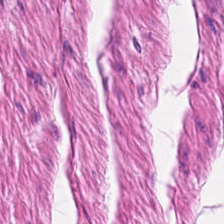This field is muscularis.
